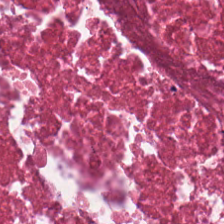The predominant tissue is cellular debris.
